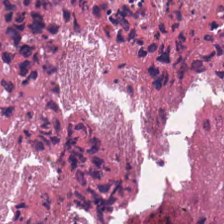Tissue type — debris.
